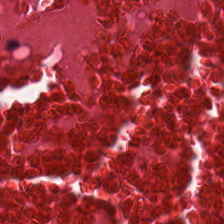Hematoxylin-and-eosin stained section.
Classification = necrotic debris.
